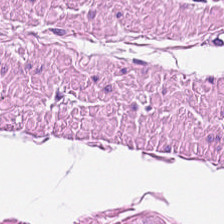H&E-stained tissue section. Histology — smooth muscle.
